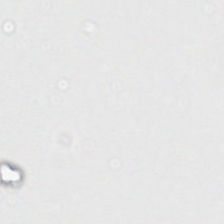H&E — Background — no tissue in this field.
